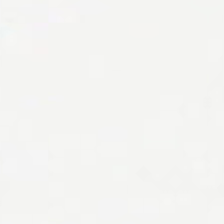H&E. Empty field — background.
